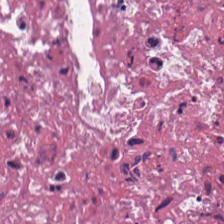This field is debris.
